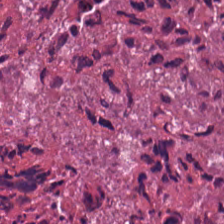{"tissue_type": "cellular debris"}
